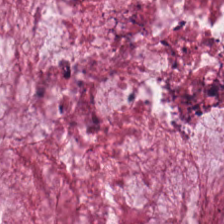Stain: H&E stain.
Tissue: extracellular mucin.
